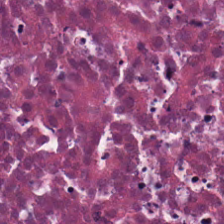Brightfield microscopy; H&E stain.
Q: Identify the tissue.
A: This is cellular debris.
